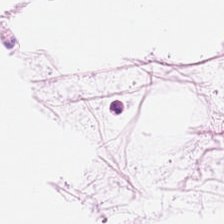Showing adipose.
